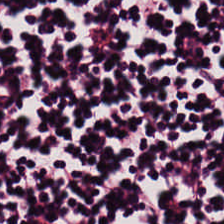H&E stain.
The tissue class is lymphoid infiltrate.
